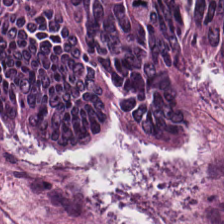H&E stain. This patch shows adenocarcinoma.
